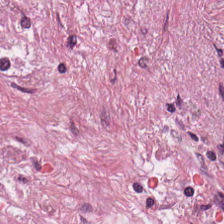Hematoxylin-and-eosin stained section. Q: What does this patch show?
A: This is cancer-associated stroma.
